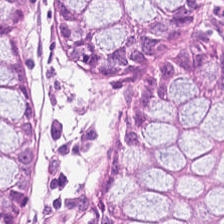H&E patch showing benign colonic mucosa.
